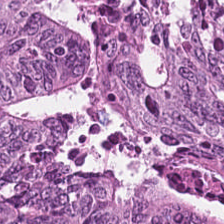H&E.
Adenocarcinoma.
